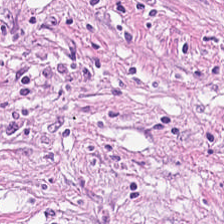The predominant tissue is cancer-associated stroma.
